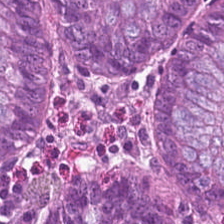H&E stain — Classification = normal colon mucosa.
